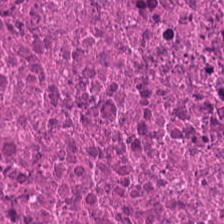Predominantly debris.
